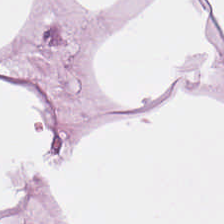H&E — This patch shows adipocytes.
